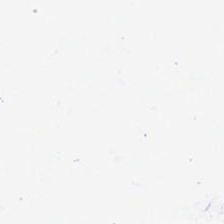Empty background.
